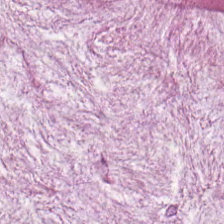0.5 µm/px; H&E — The tissue here is mucin.
